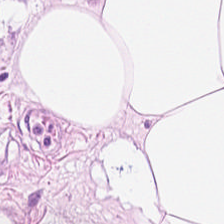H&E stain; FFPE tissue section; WSI patch.
The predominant tissue is adipocytes.
